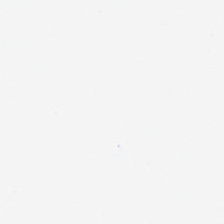224×224 pixel tile. WSI patch. Hematoxylin and eosin.
The content is background.
